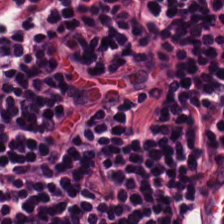H&E. 224×224 px tile. Tissue type: lymphoid infiltrate.
